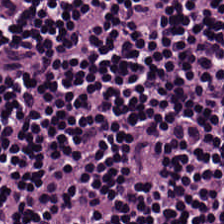Q: Classify this patch.
A: Lymphocytes.
